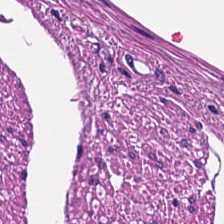H&E stain — Showing smooth-muscle tissue.
